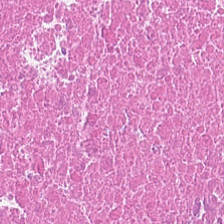H&E-stained section; the field shows cellular debris.
